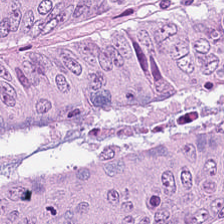H&E stain.
Predominant tissue: tumor epithelium.
